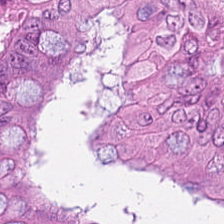Formalin-fixed paraffin-embedded section · hematoxylin and eosin · 224×224 px patch.
The predominant tissue is malignant epithelium.
